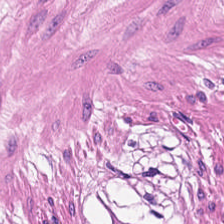Hematoxylin and eosin. Showing smooth-muscle tissue.
